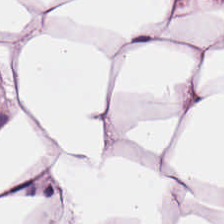H&E-stained tissue section. Showing adipose tissue.
